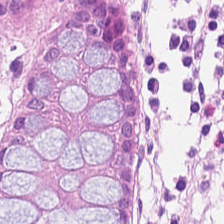H&E · FFPE tissue section · 0.5 µm per pixel — Tissue = benign colonic mucosa.
